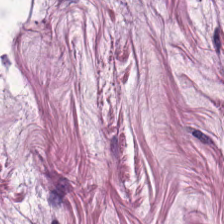H&E-stained tissue section.
Predominant tissue: muscularis.
